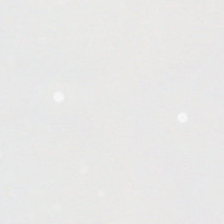H&E stain.
Finding → background.
